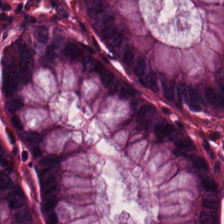The tissue class is non-neoplastic colon mucosa.
